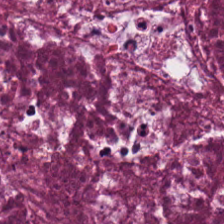Hematoxylin-and-eosin stained section · formalin-fixed paraffin-embedded section — Histology — necrotic debris.
